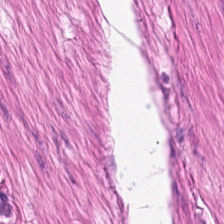H&E-stained tissue section · brightfield.
Q: Classify this patch.
A: Muscularis.
